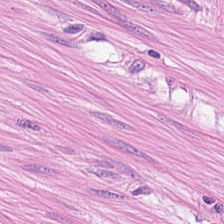Q: Classify this patch.
A: Smooth-muscle tissue.
